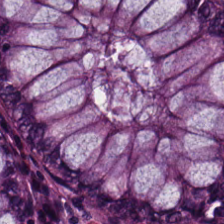Stain: H&E.
Tissue type: non-neoplastic colon mucosa.
